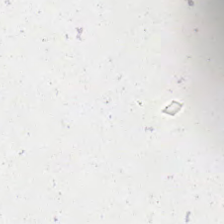WSI patch. 0.5 µm/px. H&E — Q: What is shown in this field?
A: The field shows background (no tissue).
